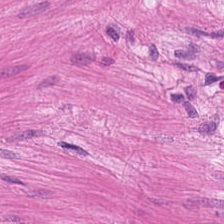Stain: hematoxylin and eosin.
Predominant tissue: muscularis.
